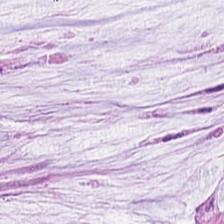Hematoxylin and eosin · 224×224 pixel tile. This patch shows mucin.
